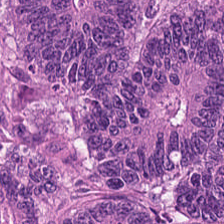20× equivalent magnification · H&E-stained tissue section. Predominantly adenocarcinoma.
